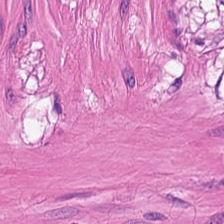Predominantly smooth-muscle tissue.
